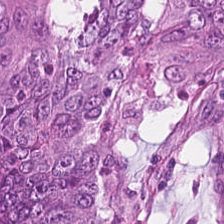Hematoxylin and eosin. 20× equivalent magnification. Tumor epithelium.
